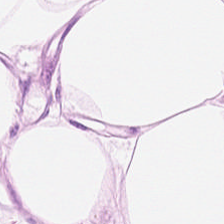H&E. 20× equivalent magnification. This patch shows fat tissue.
